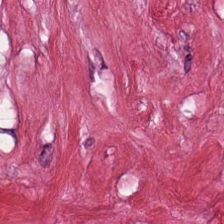Hematoxylin and eosin. 0.5 µm/px — Q: What tissue type is shown here?
A: The field shows tumor-associated stroma.
